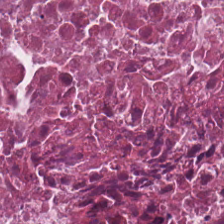Hematoxylin and eosin. Q: What tissue is shown?
A: Necrotic debris.
